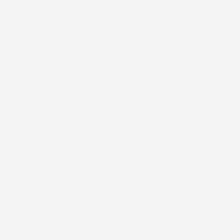Hematoxylin and eosin — Background.
